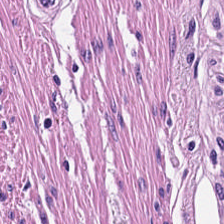FFPE. H&E-stained tissue section. Whole-slide-image patch. Predominant tissue: smooth muscle.
